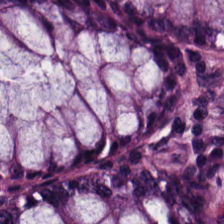H&E stain. Impression — non-neoplastic colon mucosa.
